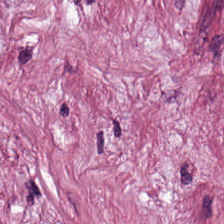Hematoxylin-and-eosin section: tumor-associated stroma.
